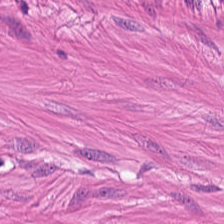Q: What is the predominant tissue type?
A: The field shows smooth muscle.
